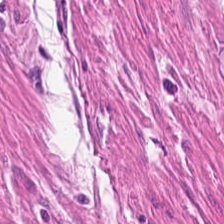0.5 µm/px. Brightfield microscopy. H&E. Histology — smooth muscle.
